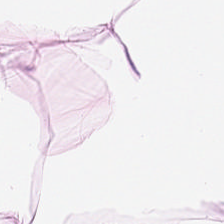This field is fat tissue.
